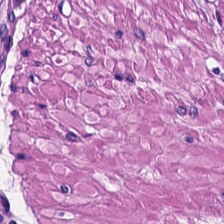Stain: hematoxylin-and-eosin stained section.
Tissue type: smooth muscle.
